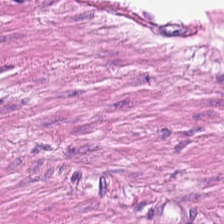Brightfield; H&E — This patch shows muscularis.
